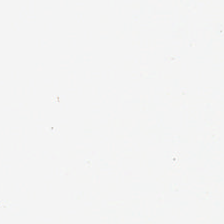Classification: empty background.
